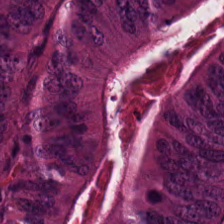Hematoxylin-and-eosin stained section; brightfield.
Finding → colorectal adenocarcinoma epithelium.
